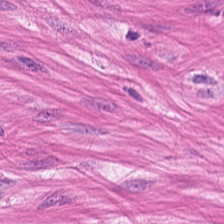0.5 µm/px. WSI patch. Hematoxylin and eosin. Q: What is the predominant tissue type?
A: Smooth-muscle tissue.
